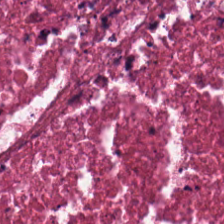H&E-stained tissue section. Q: What does this patch show?
A: This is necrotic debris.
